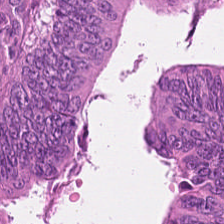0.5 µm/px; H&E stain.
The tissue here is adenocarcinoma.
